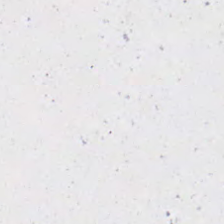0.5 microns per pixel. 224×224 px tile. H&E-stained tissue section.
Field content = background (no tissue).
